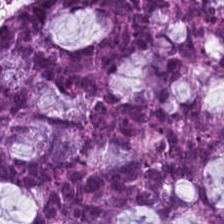Stain: H&E.
Preparation: FFPE.
Tissue type: mucin.
